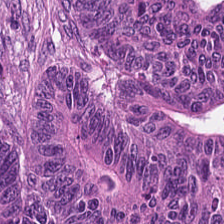H&E stain.
This patch shows colorectal adenocarcinoma epithelium.
